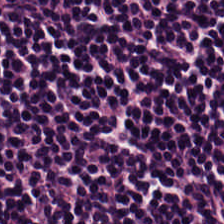Stain: hematoxylin and eosin.
Predominant tissue: lymphocytes.
